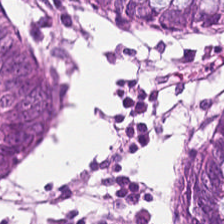H&E-stained tissue section.
Q: What is shown in this field?
A: It is benign colonic mucosa.
